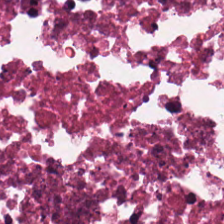224×224 px patch. Hematoxylin and eosin. This patch shows necrotic debris.
